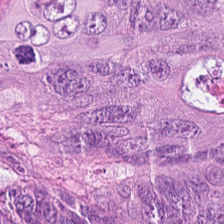H&E patch showing malignant epithelium.
